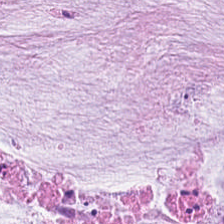224×224 px tile; H&E-stained tissue section.
This patch shows extracellular mucin.
